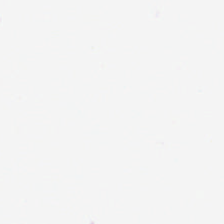Hematoxylin-and-eosin stained section — Q: What does this patch show?
A: It is empty background.
